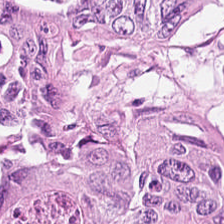H&E. Tissue — colorectal adenocarcinoma epithelium.
